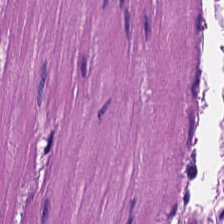H&E. Brightfield microscopy. 0.5 microns per pixel. Histology — muscularis.
